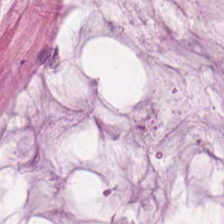H&E-stained tissue section.
Predominant tissue — mucus.
